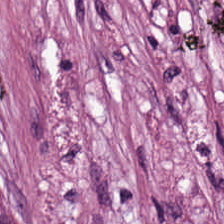Finding → tumor-associated stroma.
